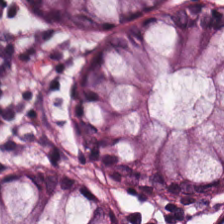20× equivalent magnification; H&E stain.
Predominantly normal colon mucosa.
